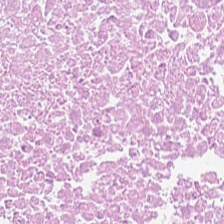H&E stain · 224×224 px tile — The tissue here is necrotic debris.
